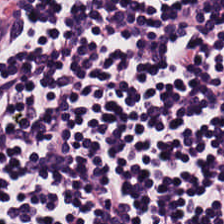Brightfield. H&E. 224×224 px tile.
Classification = lymphocytes.
